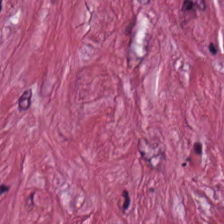H&E.
Predominant tissue: desmoplastic stroma.
